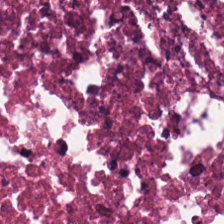The predominant tissue is necrotic debris.
